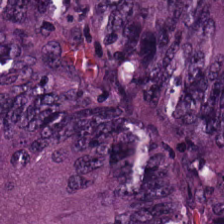Stain: hematoxylin-and-eosin stained section.
Tissue: colorectal adenocarcinoma.
